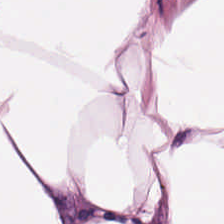{"tissue_type": "adipose"}
